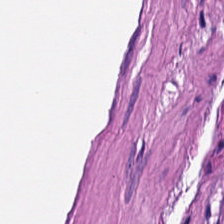H&E stain · formalin-fixed paraffin-embedded section. Q: What is the predominant tissue type?
A: The field shows muscularis.
